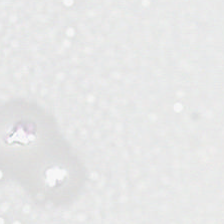No tissue present; background only.
